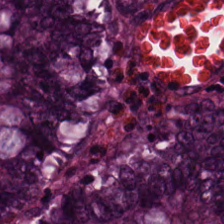Finding → non-neoplastic colon mucosa.
